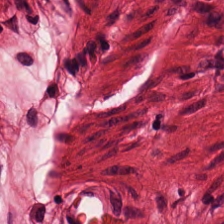H&E stain · FFPE · brightfield. Predominant tissue: muscularis.
